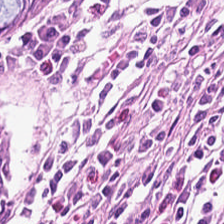FFPE tissue section. Hematoxylin and eosin — Finding — non-neoplastic colon mucosa.
